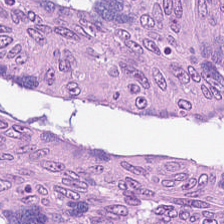H&E — colorectal adenocarcinoma epithelium.
